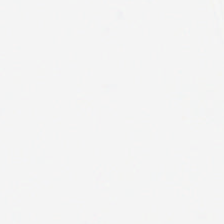Hematoxylin-and-eosin stained section. The field content is empty background.
